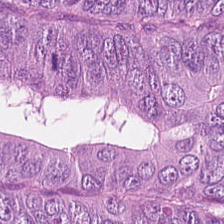H&E — Histology → colorectal adenocarcinoma.
